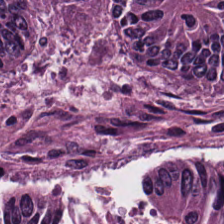224×224 px patch. Hematoxylin-and-eosin stained section — This patch shows adenocarcinoma.
